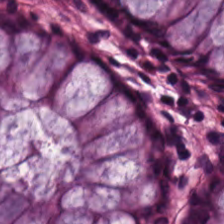H&E stain. Histology — benign colonic mucosa.
